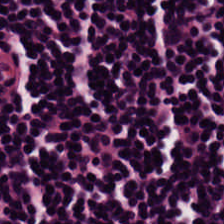H&E-stained tissue section.
Predominantly lymphoid infiltrate.
